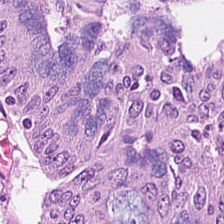224×224 pixel tile; H&E-stained tissue section; WSI patch. {"tissue_type": "malignant epithelium"}
